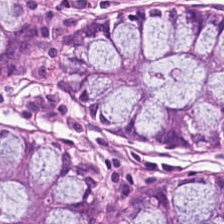Brightfield; H&E stain — Predominantly normal colonic mucosa.
